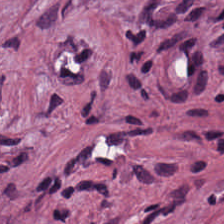WSI patch; 224×224 px patch; hematoxylin-and-eosin stained section.
Tissue type: cancer-associated stroma.
